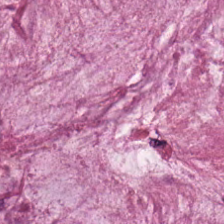Brightfield microscopy; hematoxylin-and-eosin stained section.
This field is mucus.
